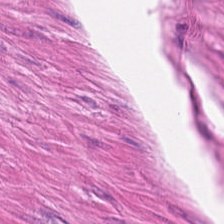H&E-stained tissue section.
Predominantly smooth-muscle tissue.
